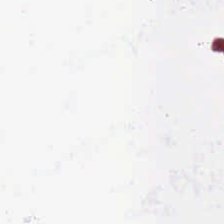224×224 px patch; H&E stain — Field content = background.
